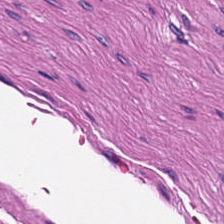Tissue class = muscularis.
